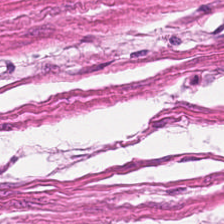H&E. Tissue type = smooth muscle.
